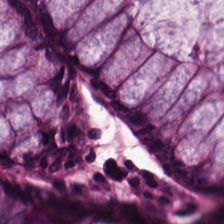Hematoxylin and eosin · 224×224 px tile. Tissue — normal colonic mucosa.
